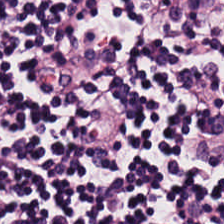Hematoxylin-and-eosin stained section. Q: What tissue type is shown here?
A: This is lymphocytic infiltrate.
